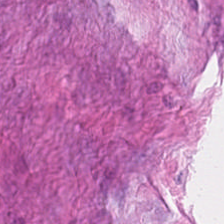H&E stain · 224×224 px patch. The predominant tissue is cancer-associated stroma.
